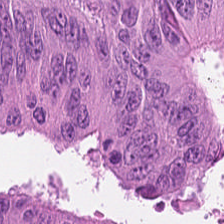224×224 px tile · H&E stain.
Showing malignant epithelium.
